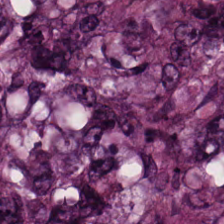Hematoxylin and eosin — Q: Identify the tissue.
A: Tumor epithelium.
